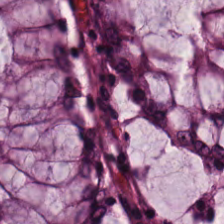H&E stain. Impression → normal colonic mucosa.
